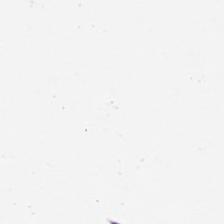H&E stain. 224×224 px patch.
The predominant tissue is adipocytes.
